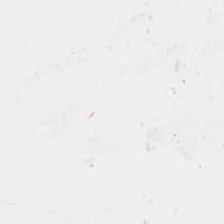H&E-stained tissue section. Background — no tissue in this field.
